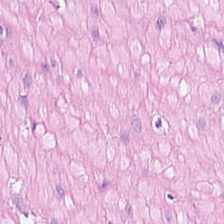H&E-stained tissue section. 224×224 px tile — Classification = smooth-muscle tissue.
